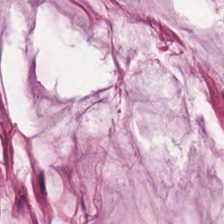H&E-stained tissue section — Q: What is shown in this field?
A: Mucus.
